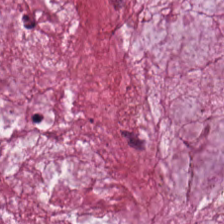The predominant tissue is mucin.
